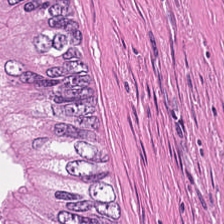224×224 px patch. Hematoxylin-and-eosin stained section — Showing necrotic debris.
